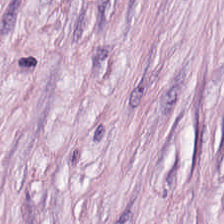Formalin-fixed paraffin-embedded section. Hematoxylin and eosin. Finding → cancer-associated stroma.
